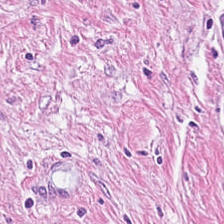224×224 pixel tile · H&E — This field is tumor stroma.
